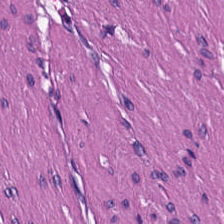H&E stain.
Q: What tissue is shown?
A: It is smooth muscle.
